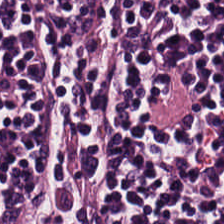Hematoxylin-and-eosin stained section; whole-slide-image patch.
Q: What is the predominant tissue type?
A: The field shows lymphoid infiltrate.
